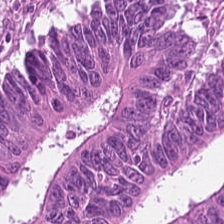Hematoxylin and eosin. FFPE tissue section. Impression → colorectal adenocarcinoma epithelium.
